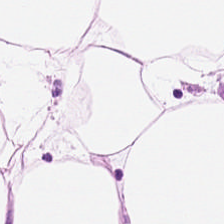0.5 µm per pixel. H&E stain. Whole-slide-image patch — Finding — adipose tissue.
